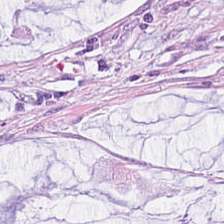Hematoxylin and eosin. The tissue here is mucus.
